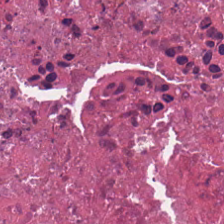Q: Identify the tissue.
A: Cellular debris.
